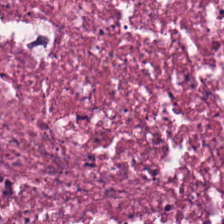The predominant tissue is necrotic debris.
